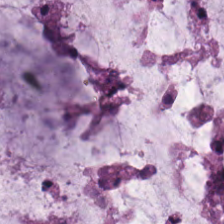Stain: H&E-stained tissue section.
Predominant tissue: mucin.
